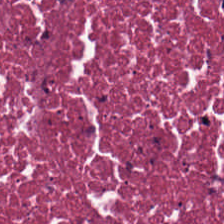Tissue = cellular debris.
